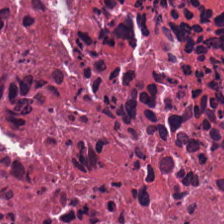Hematoxylin-and-eosin section: cellular debris.
